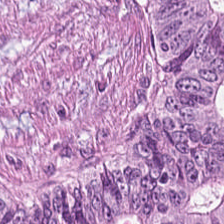H&E stain.
Q: What is shown in this field?
A: This is adenocarcinoma.
